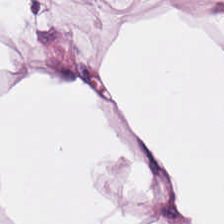Hematoxylin and eosin · FFPE tissue section · WSI patch. Histology → adipocytes.
